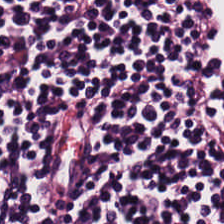Hematoxylin and eosin · brightfield microscopy. Tissue type — lymphoid infiltrate.
